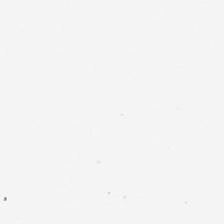H&E. Q: What is shown in this field?
A: The field shows background (no tissue).
